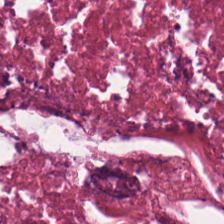Hematoxylin and eosin. Formalin-fixed paraffin-embedded section.
{"tissue_type": "necrotic debris"}
